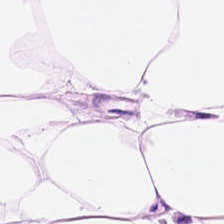Showing adipose tissue.
